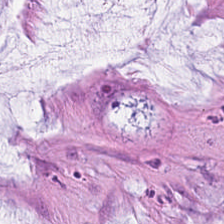Stain: hematoxylin and eosin.
Tissue: mucin.
